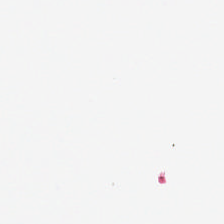Hematoxylin and eosin. Classification: empty background.
